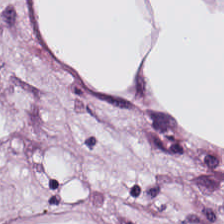H&E-stained tissue section · whole-slide-image patch. Showing adipose tissue.
